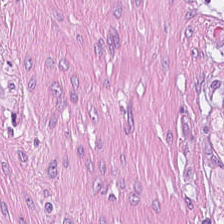{"tissue_type": "desmoplastic stroma"}
